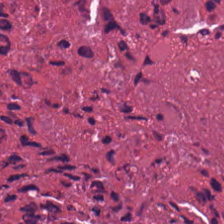Stain: hematoxylin-and-eosin stained section.
Tile size: 224×224 px patch.
Tissue class: necrotic debris.
